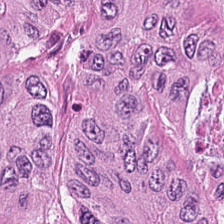Formalin-fixed paraffin-embedded section; H&E stain.
This patch shows adenocarcinoma.
